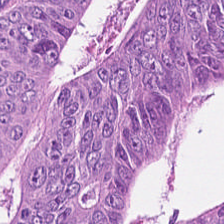H&E stain — The predominant tissue is colorectal adenocarcinoma.
